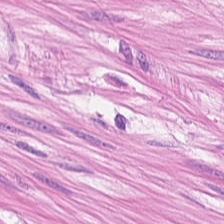Stain: H&E stain.
Acquisition: brightfield microscopy.
Tile size: 224×224 px patch.
Classification: muscularis.
